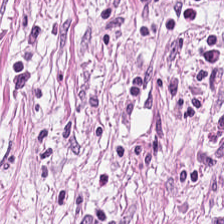Stain: H&E stain.
Tissue class: tumor-associated stroma.
